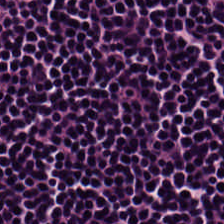Hematoxylin and eosin — Lymphocytes.
